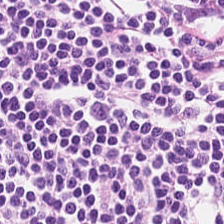H&E-stained tissue section. Impression → lymphoid infiltrate.
